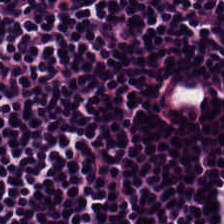Stain: H&E stain.
Acquisition: brightfield.
Tissue class: lymphocyte aggregate.
